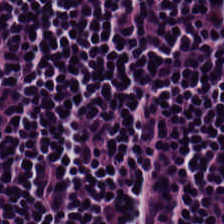H&E stain · formalin-fixed paraffin-embedded section · whole-slide-image patch.
Lymphocytic infiltrate.
